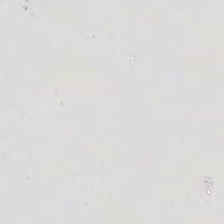Whole-slide-image patch · H&E — Background — no tissue in this field.
